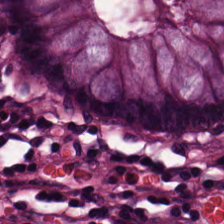H&E. FFPE tissue section.
Tissue class = benign colonic mucosa.
